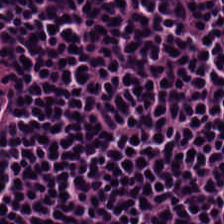H&E-stained tissue section · 224×224 px tile — The classification is lymphocytic infiltrate.
